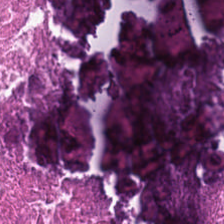0.5 µm per pixel. 224×224 px tile. Hematoxylin and eosin. Impression → cellular debris.
